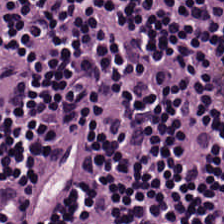Stain: H&E-stained tissue section.
Predominant tissue: lymphoid infiltrate.
